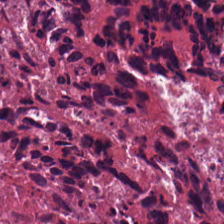This field is debris.
